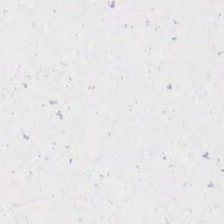Stain: H&E.
Field content: background.
